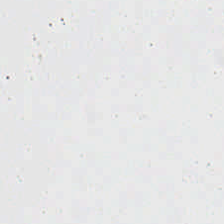H&E.
This patch shows empty background.
